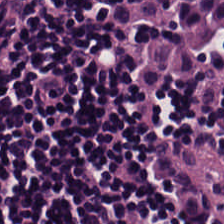Hematoxylin-and-eosin stained section — {"tissue_type": "lymphocyte aggregate"}
